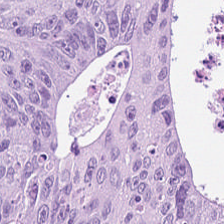224×224 px patch · hematoxylin-and-eosin stained section.
Histology → adenocarcinoma.
